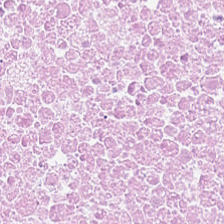Hematoxylin and eosin — This patch shows cellular debris.
